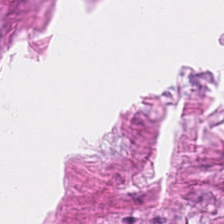Stain: hematoxylin and eosin.
Tissue type: tumor stroma.
